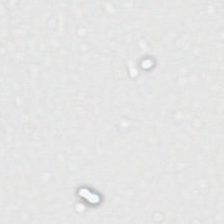No tissue present; background only.
